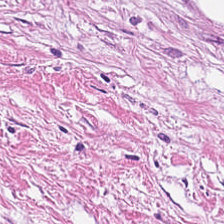FFPE tissue section · hematoxylin and eosin · 224×224 px patch.
Tissue = cancer-associated stroma.
